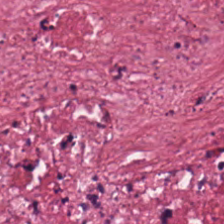Stain: hematoxylin-and-eosin stained section.
Classification: desmoplastic stroma.
